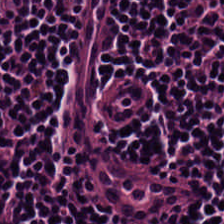Hematoxylin-and-eosin stained section.
Tissue type: lymphocytes.
